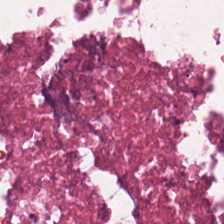Hematoxylin and eosin. Tissue type: necrotic debris.
